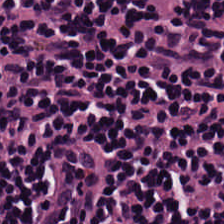Q: What does this patch show?
A: The field shows lymphocyte aggregate.
